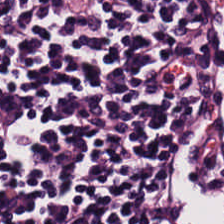{"tissue_type": "lymphocytic infiltrate"}
